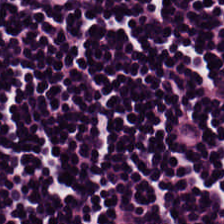Hematoxylin-and-eosin stained section. This patch shows lymphoid infiltrate.
